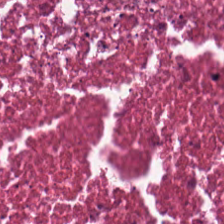H&E — Impression → necrotic debris.
